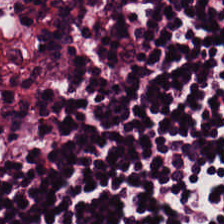Hematoxylin-and-eosin stained section.
Tissue type — lymphocytic infiltrate.
